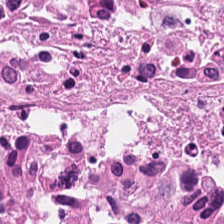H&E stain.
Finding → cellular debris.
